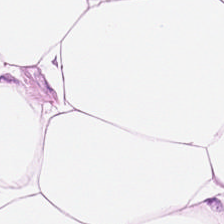224×224 px patch. H&E. Brightfield microscopy. Tissue = adipocytes.
